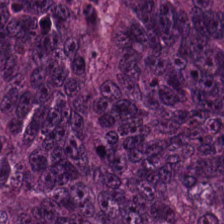Predominantly colorectal adenocarcinoma.
